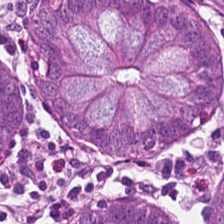Hematoxylin-and-eosin stained section · FFPE · 224×224 px tile — This field is benign colonic mucosa.
